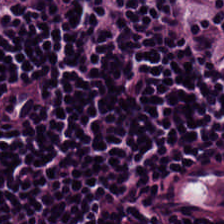Whole-slide-image patch; H&E-stained tissue section. This patch shows lymphocyte aggregate.
